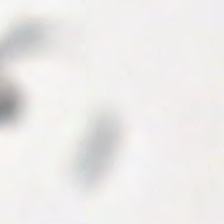Q: What is shown in this field?
A: Background.
